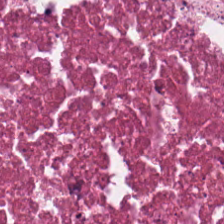H&E patch showing cellular debris.
